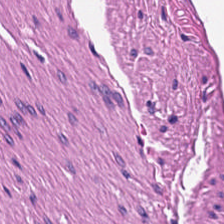H&E-stained tissue section.
Q: What does this patch show?
A: The field shows smooth muscle.
